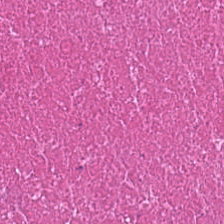H&E stain.
Predominantly debris.
